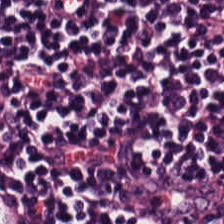H&E stain.
This field is lymphocyte aggregate.
